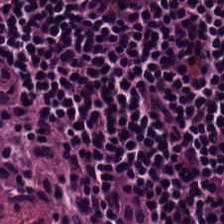H&E stain — This field is lymphocyte aggregate.
